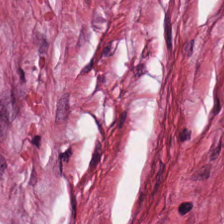H&E-stained tissue section. The classification is tumor-associated stroma.
